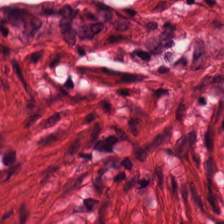H&E stain.
This patch shows muscularis.
